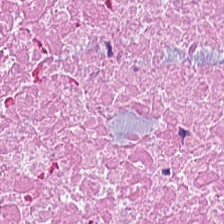Stain: H&E stain.
Tissue class: necrotic debris.
